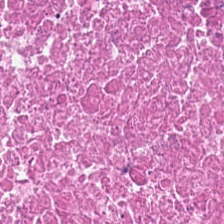H&E — cellular debris.
